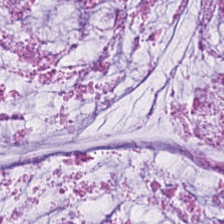H&E stain.
Impression → extracellular mucin.
